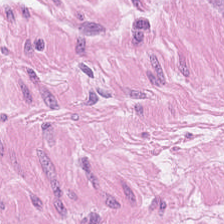Stain: H&E.
Preparation: FFPE.
Classification: smooth muscle.
